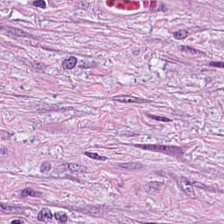H&E-stained tissue section — Desmoplastic stroma.
